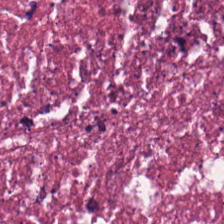H&E.
The tissue here is cellular debris.
